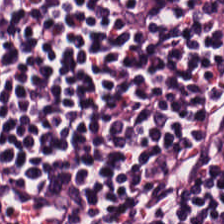0.5 µm/px · H&E stain. Tissue class: lymphocytic infiltrate.
